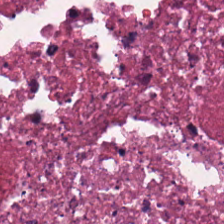0.5 microns per pixel; 224×224 px tile; H&E — Q: What tissue type is shown here?
A: The field shows debris.
